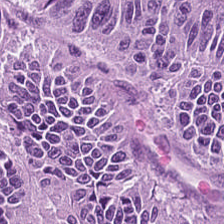Tissue: colorectal adenocarcinoma epithelium.
